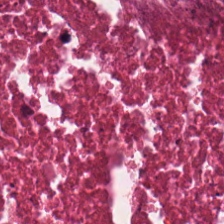H&E — Q: What tissue is shown?
A: It is debris.
